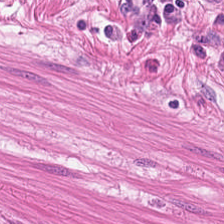Hematoxylin-and-eosin stained section; FFPE; whole-slide-image patch. The predominant tissue is smooth muscle.
